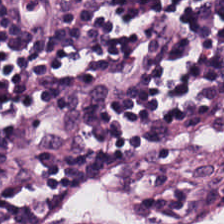224×224 pixel tile; H&E stain; WSI patch. Showing lymphocytic infiltrate.
